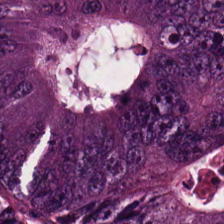{"tissue_type": "malignant epithelium"}
